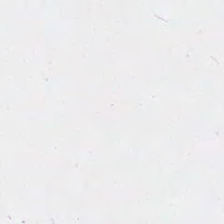H&E-stained tissue section. Brightfield. FFPE.
Empty field — empty background.
